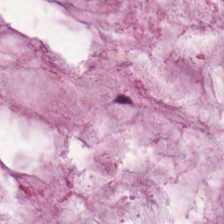H&E-stained section; the field shows mucus.
